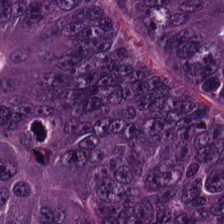Hematoxylin and eosin; FFPE tissue section.
Histology — adenocarcinoma.
